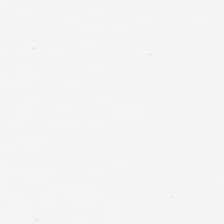H&E — Content: background (no tissue).
